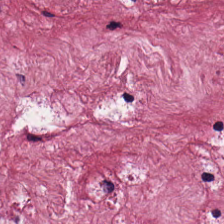Hematoxylin-and-eosin stained section — This field is tumor stroma.
